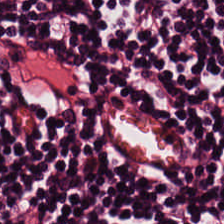Hematoxylin-and-eosin stained section · brightfield — Q: What is the predominant tissue type?
A: This is lymphoid infiltrate.
